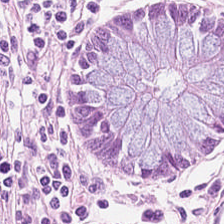Stain: H&E-stained tissue section.
Tile size: 224×224 px patch.
Predominant tissue: normal colon mucosa.
